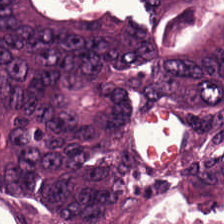Stain: H&E-stained tissue section.
Preparation: formalin-fixed paraffin-embedded section.
Acquisition: brightfield.
Tissue type: tumor epithelium.
